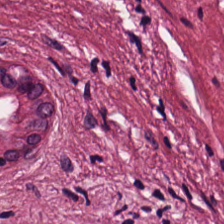Q: Classify this patch.
A: The field shows tumor-associated stroma.
